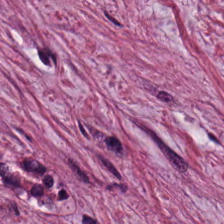0.5 µm per pixel. H&E.
Predominantly tumor-associated stroma.
